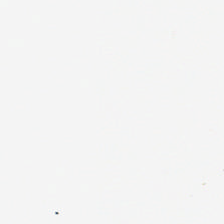Stain: H&E.
Resolution: 20× equivalent magnification.
Classification: background.
